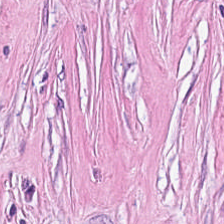20× equivalent magnification. WSI patch. Hematoxylin-and-eosin stained section. Q: What tissue type is shown here?
A: It is cancer-associated stroma.
